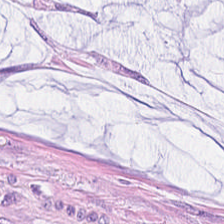H&E-stained tissue section.
This field is extracellular mucin.
